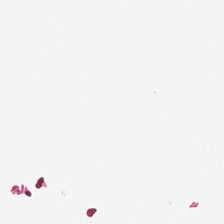Brightfield · hematoxylin-and-eosin stained section.
This field is background (no tissue).
